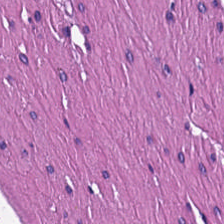FFPE tissue section · 20× equivalent magnification · hematoxylin-and-eosin stained section — Finding → smooth muscle.
